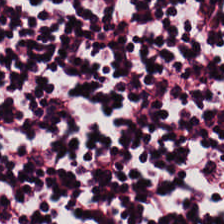WSI patch. Hematoxylin and eosin. FFPE tissue section — Tissue — lymphocyte aggregate.
